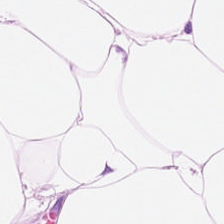Tissue type: adipose.
